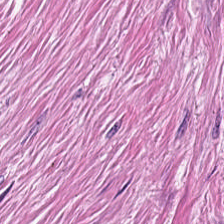H&E stain — Tumor-associated stroma.
